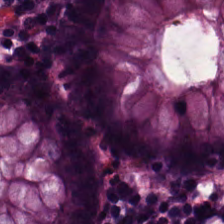Stain: H&E.
Acquisition: WSI patch.
Predominant tissue: normal colonic mucosa.
